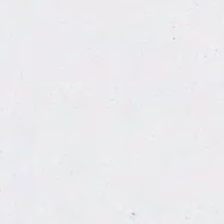Stain: H&E-stained tissue section.
Field content: background (no tissue).
